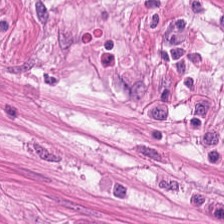20× equivalent magnification · H&E. Finding → smooth-muscle tissue.
